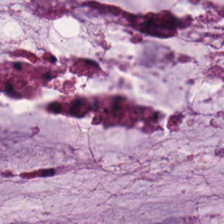Stain: hematoxylin-and-eosin stained section.
Tissue type: mucin.
